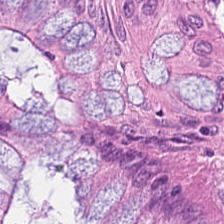H&E.
Finding → non-neoplastic colon mucosa.
